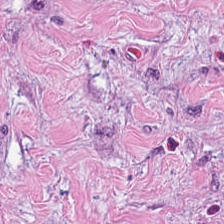H&E-stained tissue section — Q: What is shown in this field?
A: The field shows tumor stroma.
